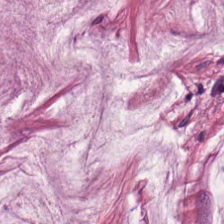H&E — Tissue: mucin.
